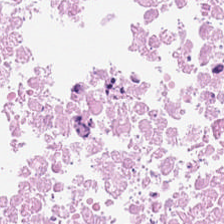Whole-slide-image patch. H&E-stained tissue section. 0.5 µm per pixel — Tissue type — necrotic debris.
